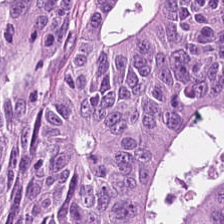Hematoxylin-and-eosin stained section. This field is adenocarcinoma.
